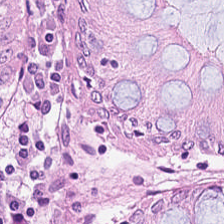H&E stain; 224×224 pixel tile; FFPE — Classification — non-neoplastic colon mucosa.
